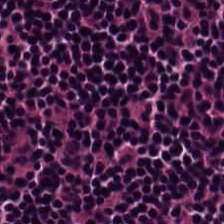FFPE tissue section · H&E.
The tissue type is lymphoid infiltrate.
